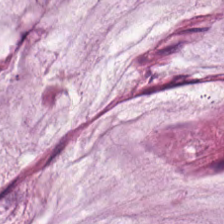Histology → mucus.
